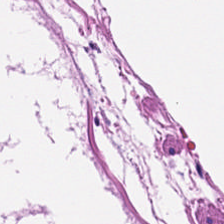Stain: H&E.
Tissue type: smooth muscle.
